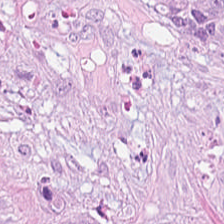Hematoxylin-and-eosin stained section — {"tissue_type": "colorectal adenocarcinoma epithelium"}
